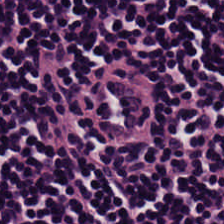Stain: H&E stain.
Preparation: FFPE tissue section.
Tissue class: lymphoid infiltrate.
